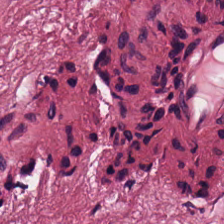H&E patch showing cancer-associated stroma.
